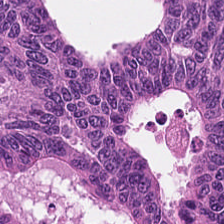0.5 microns per pixel; hematoxylin and eosin. This patch shows colorectal adenocarcinoma epithelium.
